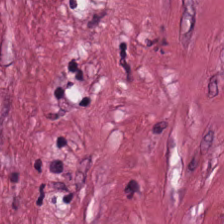Brightfield microscopy · H&E — This patch shows desmoplastic stroma.
